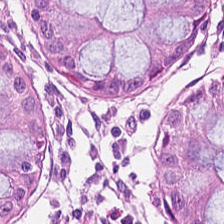H&E-stained tissue section.
The predominant tissue is non-neoplastic colon mucosa.
